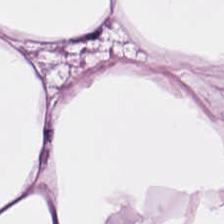Stain: H&E.
Classification: adipose tissue.
